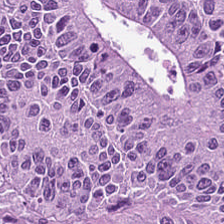The tissue is colorectal adenocarcinoma epithelium.
